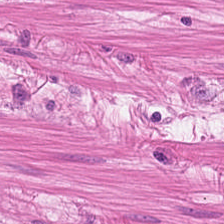Brightfield microscopy · H&E.
{"tissue_type": "muscularis"}
